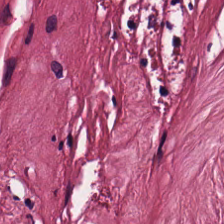Brightfield microscopy · H&E · 0.5 microns per pixel.
Impression → tumor stroma.
